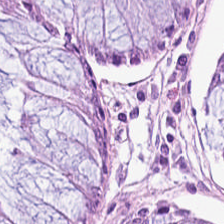Classification — benign colonic mucosa.
